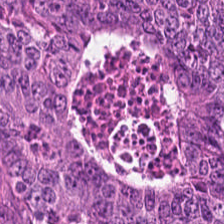Tissue — colorectal adenocarcinoma.
